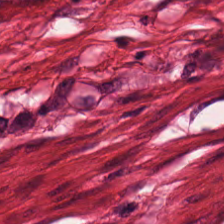H&E-stained section; the field shows smooth-muscle tissue.
